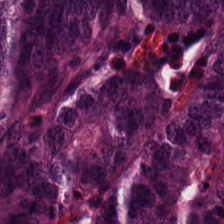Tissue: malignant epithelium.
